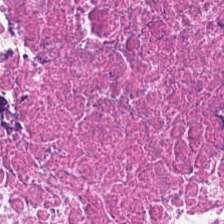The tissue type is debris.
